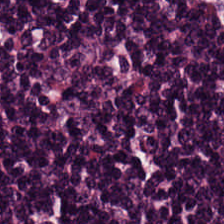FFPE tissue section; H&E-stained tissue section; WSI patch. Predominantly lymphoid infiltrate.
